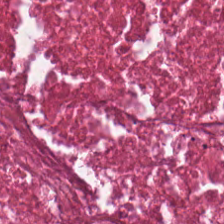H&E-stained tissue section. Finding → necrotic debris.
